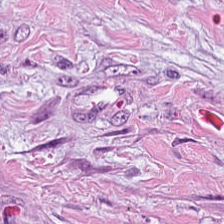H&E. This field is desmoplastic stroma.
